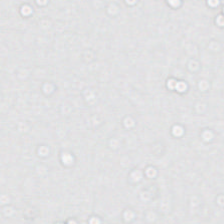H&E. 224×224 px tile — This field is background (no tissue).
